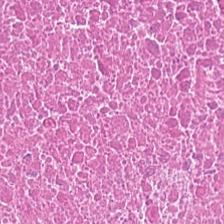Brightfield microscopy; H&E stain; 0.5 µm per pixel.
The predominant tissue is debris.
